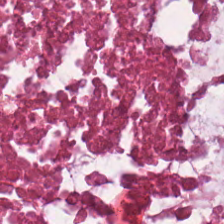H&E-stained tissue section.
Q: What is the predominant tissue type?
A: Cellular debris.
